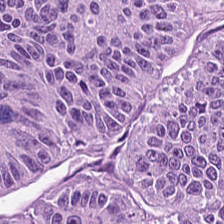H&E stain — Q: What tissue is shown?
A: This is malignant epithelium.
